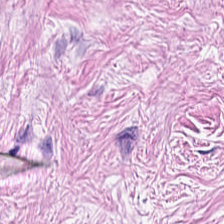H&E stain — Q: What tissue is shown?
A: Tumor-associated stroma.
